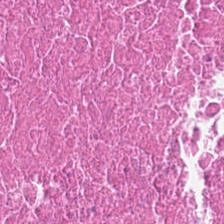Hematoxylin and eosin. Histology → necrotic debris.
